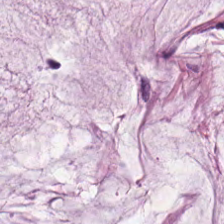Hematoxylin and eosin · 224×224 pixel tile. Classification — mucin.
